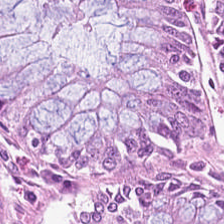H&E-stained tissue section — The tissue here is normal colonic mucosa.
